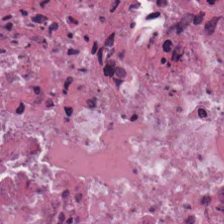Stain: H&E.
Preparation: FFPE.
Classification: debris.
